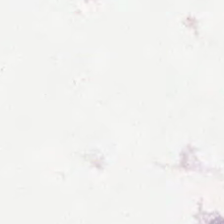WSI patch · H&E stain.
The classification is background.
